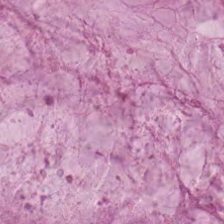Hematoxylin-and-eosin stained section. The tissue type is extracellular mucin.
